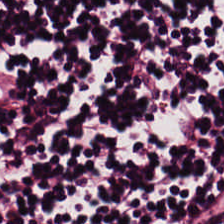Stain: H&E.
Tissue: lymphocytic infiltrate.
